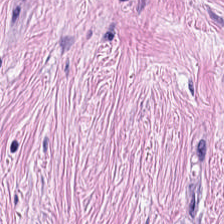Hematoxylin-and-eosin stained section.
The predominant tissue is desmoplastic stroma.
